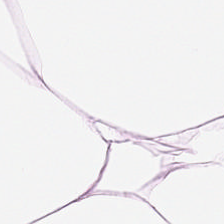Q: Identify the tissue.
A: The field shows fat tissue.
